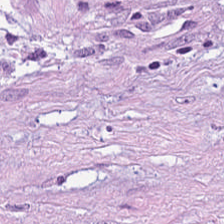H&E stain — This patch shows tumor-associated stroma.
